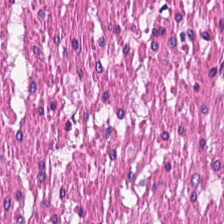H&E stain — The predominant tissue is smooth muscle.
